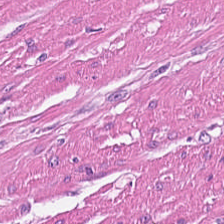H&E-stained tissue section — Q: What is shown in this field?
A: It is smooth-muscle tissue.
